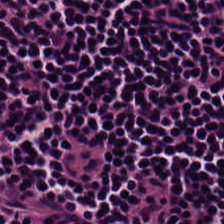Histology → lymphoid infiltrate.
